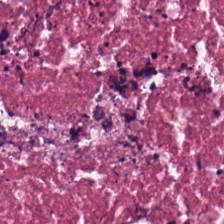Hematoxylin-and-eosin stained section; 0.5 µm/px. Classification = cellular debris.
